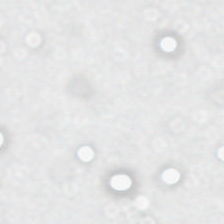224×224 px patch. H&E-stained tissue section. FFPE. Q: What is shown in this field?
A: Empty background.
